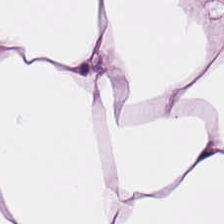H&E — Histology — fat tissue.
